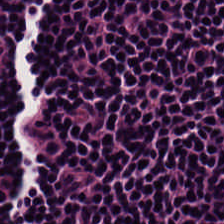WSI patch · hematoxylin-and-eosin stained section. Q: What does this patch show?
A: The field shows lymphocytes.
